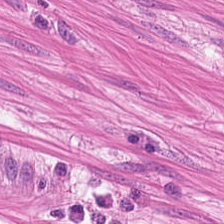H&E-stained tissue section. Predominantly smooth muscle.
